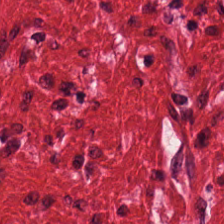This patch shows smooth muscle.
